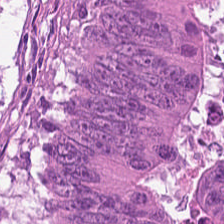Stain: H&E.
Tissue: tumor epithelium.
